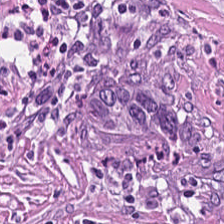{"tissue_type": "cancer-associated stroma"}
